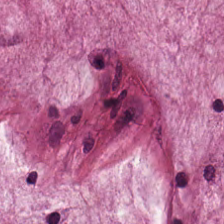Finding → extracellular mucin.
